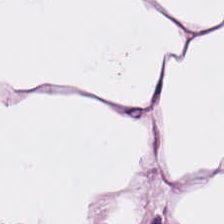0.5 µm per pixel. H&E-stained tissue section. FFPE tissue section — Histology — fat tissue.
